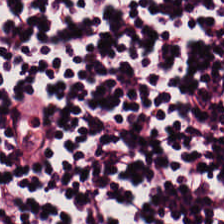Lymphocytes.
